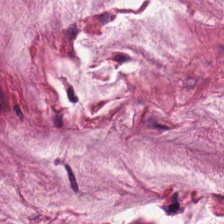Hematoxylin and eosin — Tissue type = mucin.
